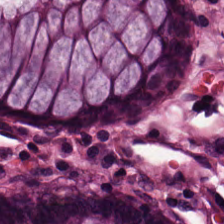Hematoxylin and eosin.
Classification = normal colonic mucosa.
